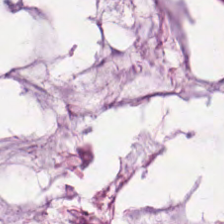Classification — mucin.
